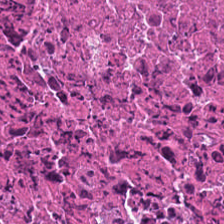Stain: hematoxylin-and-eosin stained section.
Preparation: FFPE tissue section.
Tissue type: cellular debris.
